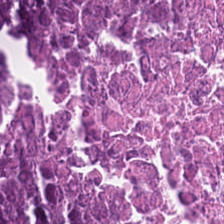H&E stain — Predominantly necrotic debris.
